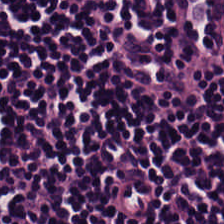FFPE tissue section; H&E stain.
Predominant tissue = lymphocytic infiltrate.
